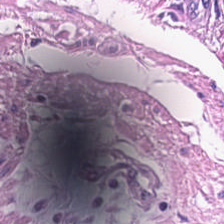Q: What does this patch show?
A: The field shows smooth muscle.
